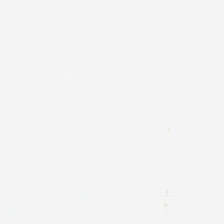Brightfield; hematoxylin-and-eosin stained section. Content: empty background.
